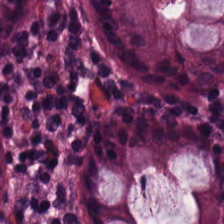224×224 px patch · hematoxylin and eosin · whole-slide-image patch — Tissue — normal colonic mucosa.
